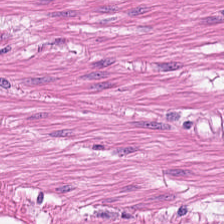Muscularis.
